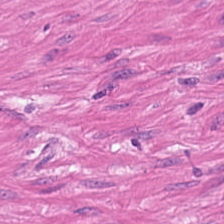Hematoxylin-and-eosin stained section — This patch shows smooth muscle.
